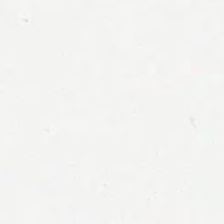Content: background.
